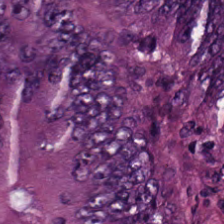Hematoxylin-and-eosin stained section — This field is colorectal adenocarcinoma epithelium.
